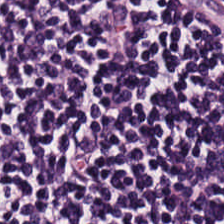H&E; 20× equivalent magnification — Predominantly lymphoid infiltrate.
